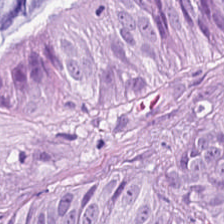Q: What type of tissue is this?
A: It is colorectal adenocarcinoma.
